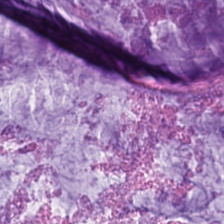Hematoxylin-and-eosin stained section — {"tissue_type": "extracellular mucin"}
